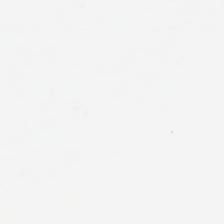H&E-stained tissue section.
No tissue present; background only.
